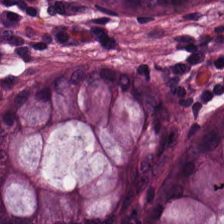Whole-slide-image patch · 20× equivalent magnification · H&E-stained tissue section — Tissue class = benign colonic mucosa.
